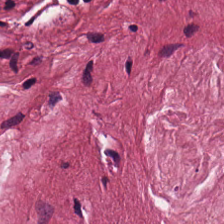224×224 pixel tile · hematoxylin and eosin.
Tissue type = desmoplastic stroma.
